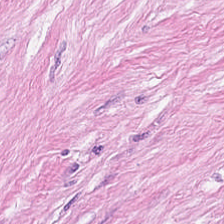H&E stain · FFPE tissue section — Desmoplastic stroma.
